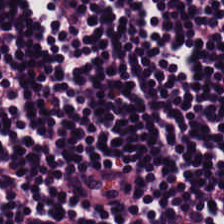This patch shows lymphocytic infiltrate.
